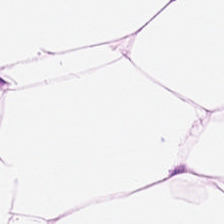Hematoxylin and eosin.
Impression — adipose.
